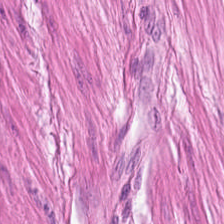This field is smooth muscle.
